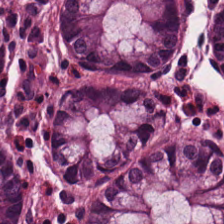Benign colonic mucosa.
